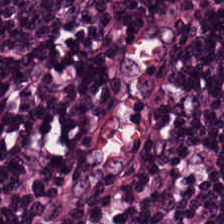H&E · 224×224 px tile · FFPE tissue section. The predominant tissue is lymphoid infiltrate.
